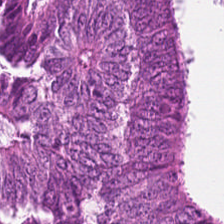Tissue class = colorectal adenocarcinoma.
